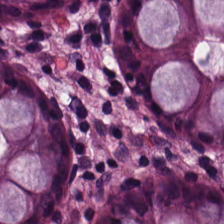Stain: hematoxylin and eosin.
Acquisition: brightfield.
Classification: normal colon mucosa.
